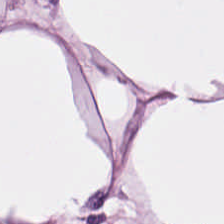H&E · 224×224 px tile.
The tissue is adipose.
